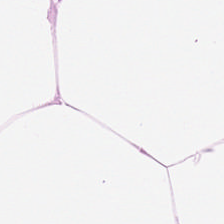Hematoxylin and eosin.
Showing adipose.
